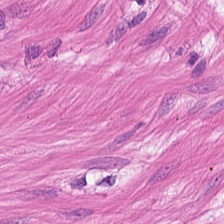224×224 px patch; 0.5 microns per pixel; H&E stain. The tissue here is smooth muscle.
